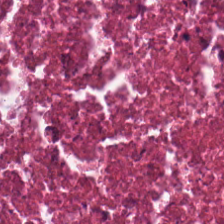H&E. This field is debris.
